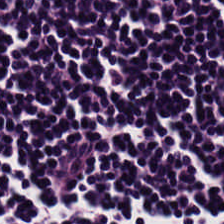H&E.
Predominant tissue: lymphocyte aggregate.
